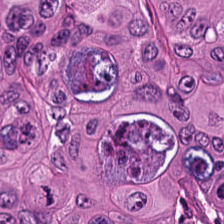H&E-stained tissue section. 224×224 px patch. FFPE — Impression — colorectal adenocarcinoma epithelium.
